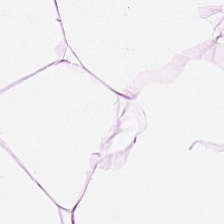Hematoxylin and eosin.
Predominantly adipose.
